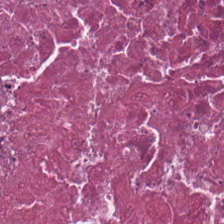20× equivalent magnification · H&E stain · brightfield — Tissue type — necrotic debris.
